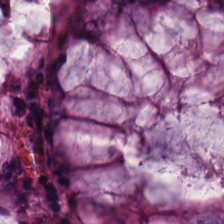Whole-slide-image patch; H&E; 224×224 pixel tile — Predominantly non-neoplastic colon mucosa.
